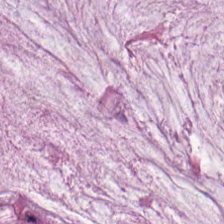Hematoxylin and eosin.
Tissue — mucus.
